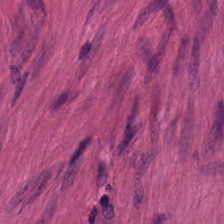Stain: H&E-stained tissue section.
Tissue type: muscularis.
